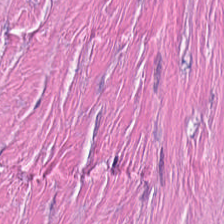Stain: H&E stain.
Predominant tissue: tumor-associated stroma.
